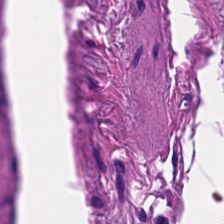Stain: hematoxylin-and-eosin stained section.
Tissue type: muscularis.
